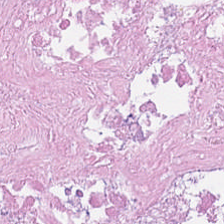H&E. Classification — necrotic debris.
